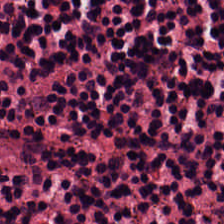Lymphocytes.
